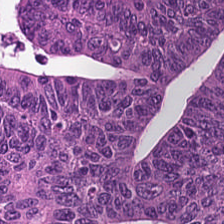Hematoxylin and eosin. The predominant tissue is tumor epithelium.
